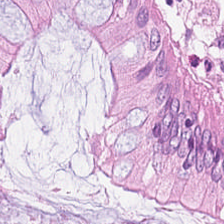Stain: H&E.
Classification: normal colon mucosa.
